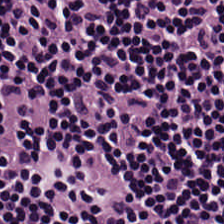Hematoxylin and eosin — Q: What tissue is shown?
A: Lymphocytic infiltrate.
